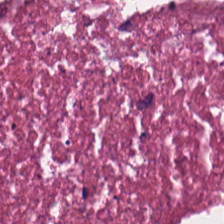H&E — Debris.
